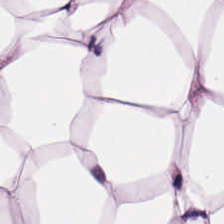Stain: H&E stain.
Predominant tissue: adipose tissue.
